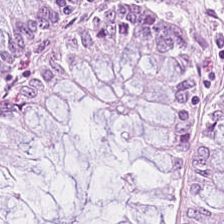Hematoxylin and eosin. Impression — benign colonic mucosa.
